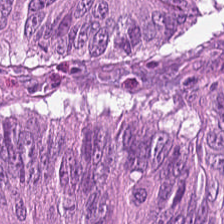Hematoxylin and eosin; FFPE tissue section — Q: Classify this patch.
A: The field shows adenocarcinoma.
